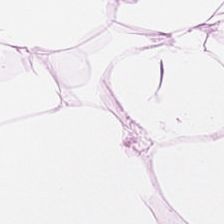H&E-stained tissue section.
The predominant tissue is adipose.
